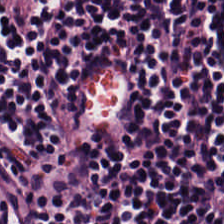Q: What type of tissue is this?
A: Lymphocytic infiltrate.
